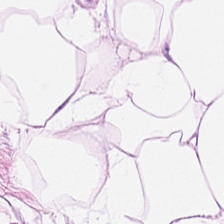H&E-stained tissue section — This field is fat tissue.
